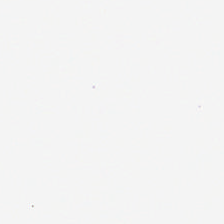FFPE tissue section; hematoxylin and eosin; 0.5 µm per pixel.
Field content: no tissue.
